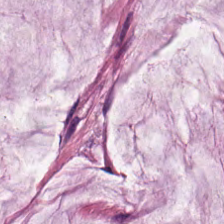H&E — The tissue class is mucin.
